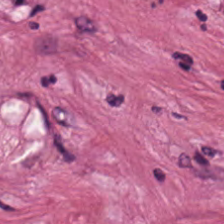20× equivalent magnification. H&E stain. The tissue here is tumor-associated stroma.
